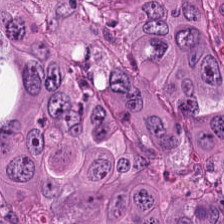Predominant tissue = malignant epithelium.
